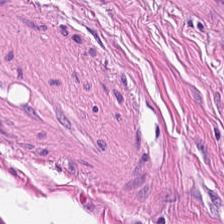H&E.
Q: Identify the tissue.
A: Smooth muscle.
